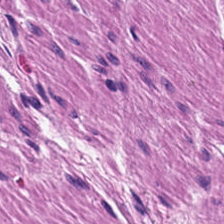H&E stain — This patch shows smooth-muscle tissue.
